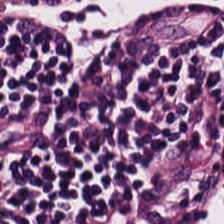H&E. Showing lymphocyte aggregate.
